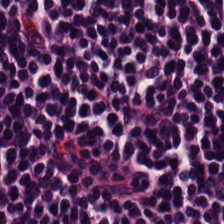Q: What type of tissue is this?
A: It is lymphoid infiltrate.
